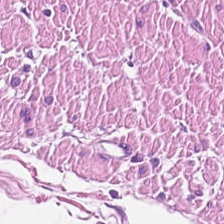The tissue class is smooth-muscle tissue.
